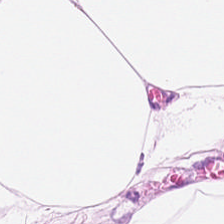Tissue class — adipose.
